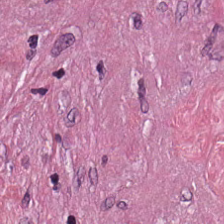H&E stain — The predominant tissue is tumor-associated stroma.
